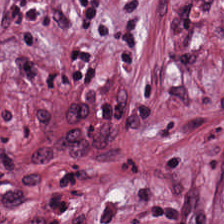This field is desmoplastic stroma.
